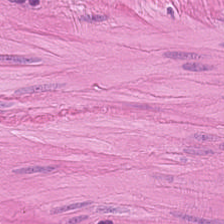Hematoxylin and eosin. Predominant tissue — muscularis.
